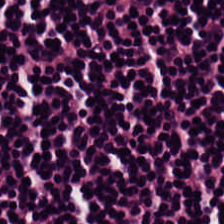Hematoxylin-and-eosin stained section. Q: Identify the tissue.
A: This is lymphocytes.
